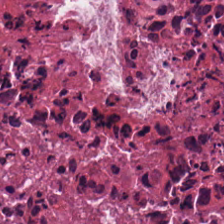0.5 µm per pixel · H&E stain — Tissue: cellular debris.
